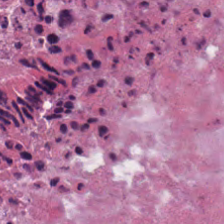224×224 pixel tile; H&E-stained tissue section.
Debris.
